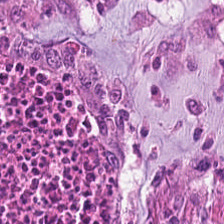H&E-stained tissue section. 224×224 px patch — Tissue type: malignant epithelium.
